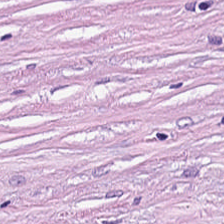Tissue type: desmoplastic stroma.
